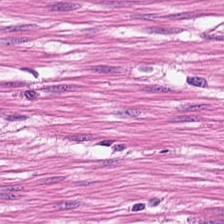This patch shows muscularis.
